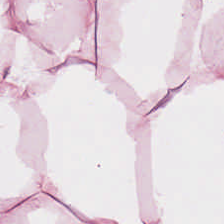Whole-slide-image patch; hematoxylin and eosin — Q: Classify this patch.
A: The field shows adipose.
